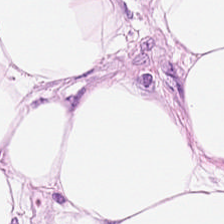Hematoxylin-and-eosin stained section.
The tissue is adipocytes.
